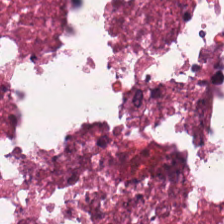224×224 pixel tile. Hematoxylin-and-eosin stained section — Q: What tissue is shown?
A: It is cellular debris.
